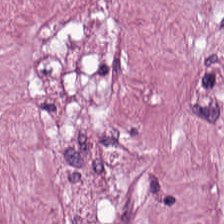Brightfield; formalin-fixed paraffin-embedded section; H&E.
This field is desmoplastic stroma.
